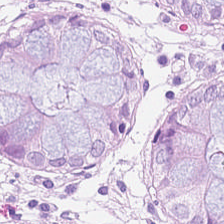The classification is normal colon mucosa.
